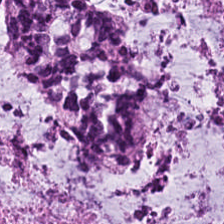Showing mucus.
